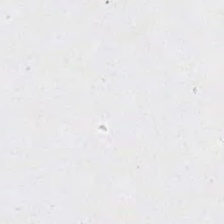Hematoxylin-and-eosin stained section. No tissue present; background only.
